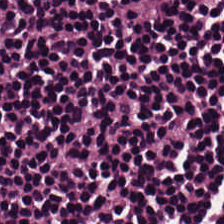H&E stain — This field is lymphocytes.
